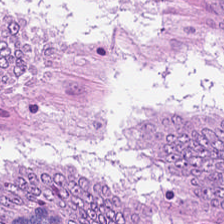Hematoxylin and eosin — This field is malignant epithelium.
